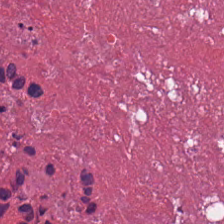Tissue — necrotic debris.
